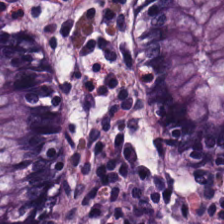H&E stain. {"tissue_type": "non-neoplastic colon mucosa"}
